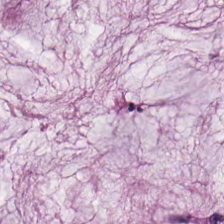Mucin.
